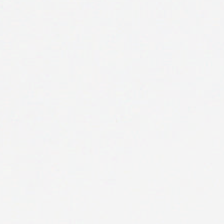Stain: H&E.
Field content: no tissue.
